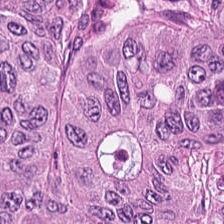FFPE · brightfield · H&E-stained tissue section — The tissue here is malignant epithelium.
